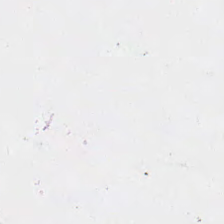The content is empty background.
